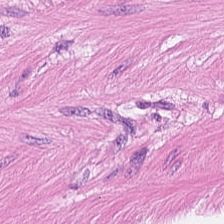Tissue class — smooth muscle.
